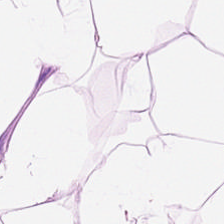Hematoxylin-and-eosin stained section — Q: What is shown here?
A: It is adipose tissue.
